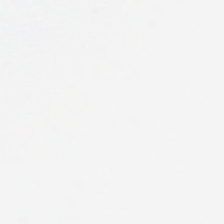Formalin-fixed paraffin-embedded section; hematoxylin and eosin — Empty field — no tissue.
